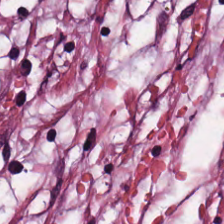Brightfield · hematoxylin and eosin. Finding → cancer-associated stroma.
